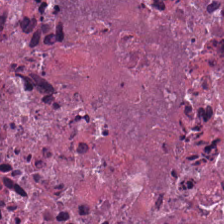H&E — Showing debris.
